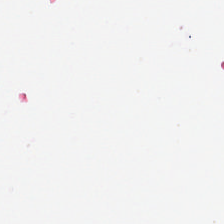H&E-stained tissue section · FFPE.
This patch shows empty background.
